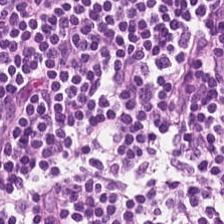H&E. Tissue = lymphoid infiltrate.
